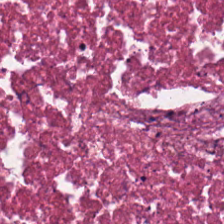H&E stain. 224×224 px patch.
Tissue type — debris.
